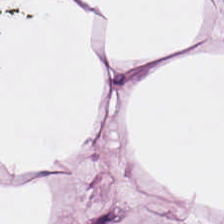H&E — Showing fat tissue.
